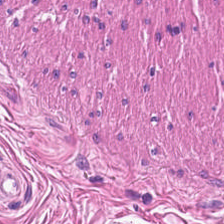H&E-stained tissue section — Q: Identify the tissue.
A: Smooth muscle.
